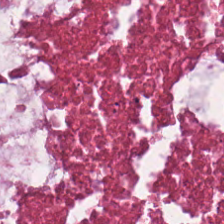Hematoxylin-and-eosin stained section. 224×224 pixel tile. 0.5 µm per pixel.
Impression → debris.
